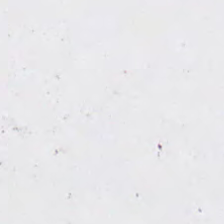Stain: hematoxylin and eosin.
Resolution: 20× equivalent magnification.
Preparation: formalin-fixed paraffin-embedded section.
Classification: background.
